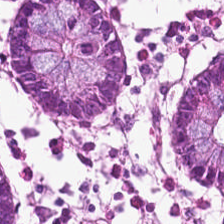Hematoxylin and eosin; FFPE tissue section. Tissue class = normal colonic mucosa.
